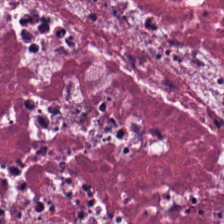Tissue — necrotic debris.
